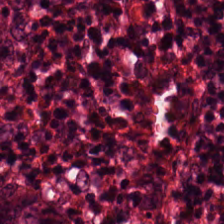This patch shows normal colonic mucosa.
